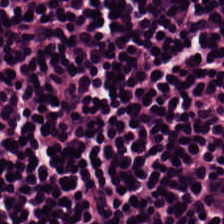H&E-stained tissue section.
Tissue type: lymphocytic infiltrate.
